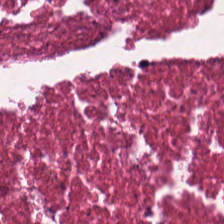H&E. Tissue class — necrotic debris.
